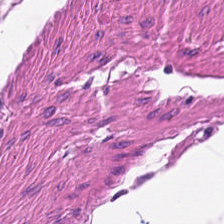H&E patch showing muscularis.
